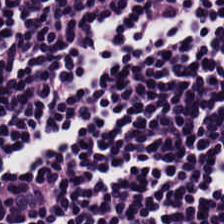H&E-stained tissue section · 20× equivalent magnification. The tissue here is lymphocytes.
